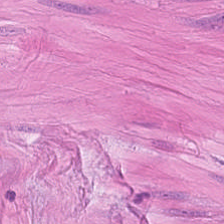Classification = muscularis.
